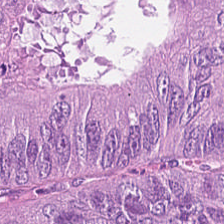H&E — Q: What tissue is shown?
A: It is colorectal adenocarcinoma.
